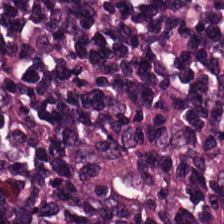Q: What is shown in this field?
A: Lymphocyte aggregate.
